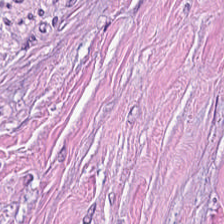H&E stain. The tissue here is tumor-associated stroma.
